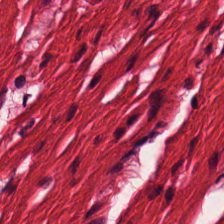Showing muscularis.
